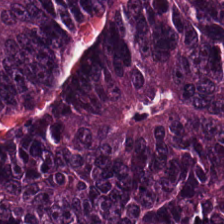224×224 px tile. Hematoxylin and eosin. Formalin-fixed paraffin-embedded section. Q: Classify this patch.
A: It is adenocarcinoma.
